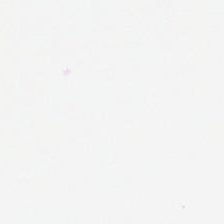Hematoxylin and eosin.
Q: What is shown here?
A: It is empty background.
